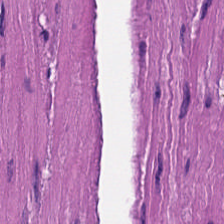Predominantly muscularis.
